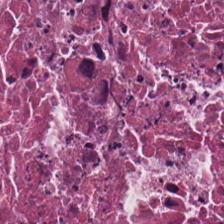20× equivalent magnification · H&E. The predominant tissue is debris.
